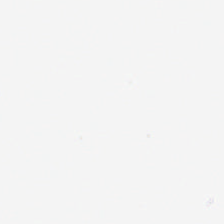H&E stain — The field content is no tissue.
